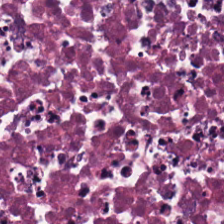Q: What tissue type is shown here?
A: It is debris.
